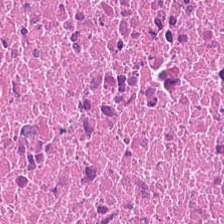Hematoxylin and eosin — Showing cellular debris.
